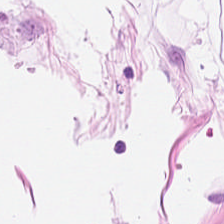Q: Identify the tissue.
A: It is adipose tissue.
